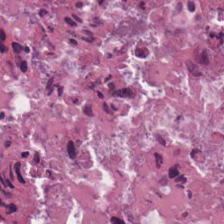H&E-stained tissue section. Q: What is shown here?
A: Cellular debris.
